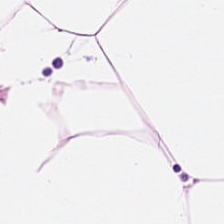Hematoxylin and eosin; 0.5 microns per pixel; FFPE tissue section.
Fat tissue.
